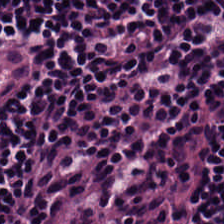Hematoxylin-and-eosin section: lymphocytic infiltrate.
